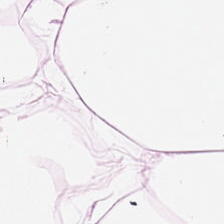Brightfield microscopy · H&E stain · FFPE tissue section.
This field is adipose tissue.
